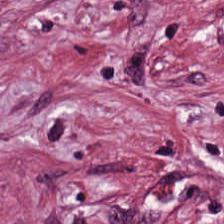WSI patch; 224×224 px patch; H&E stain — Cancer-associated stroma.
